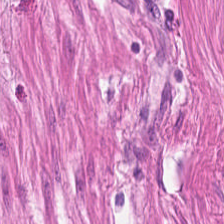Stain: H&E stain.
Predominant tissue: muscularis.
